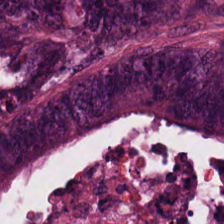Tissue type = tumor epithelium.
